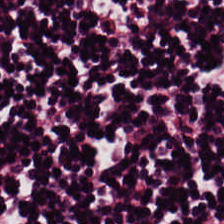H&E-stained tissue section. 0.5 µm/px. Formalin-fixed paraffin-embedded section.
Q: Classify this patch.
A: It is lymphocytes.
